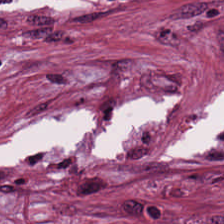H&E stain.
{"tissue_type": "tumor-associated stroma"}
